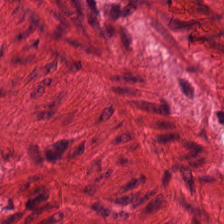This field is smooth-muscle tissue.
